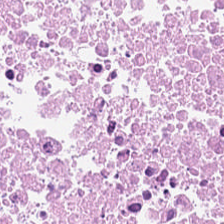H&E.
Necrotic debris.
